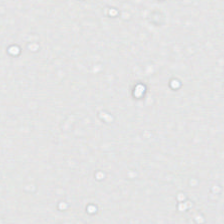Hematoxylin-and-eosin stained section.
Empty field — no tissue.
